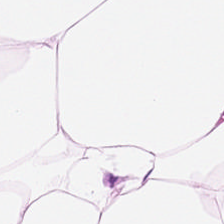FFPE; H&E stain.
Tissue type — adipose.
